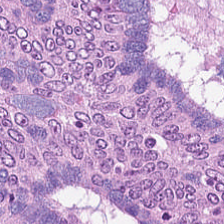FFPE · H&E. Showing adenocarcinoma.
